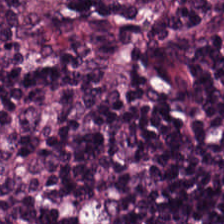Q: Classify this patch.
A: This is lymphocyte aggregate.
